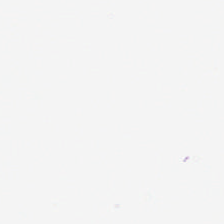FFPE; hematoxylin and eosin. The field content is background.
